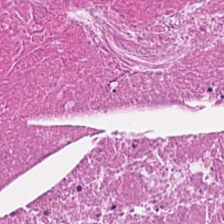The classification is necrotic debris.
